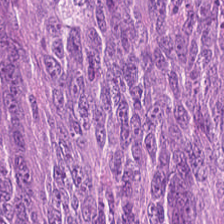H&E-stained tissue section · 20× equivalent magnification. The predominant tissue is malignant epithelium.
